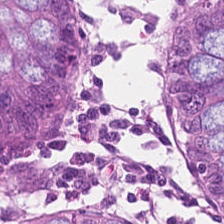H&E stain — This field is normal colonic mucosa.
